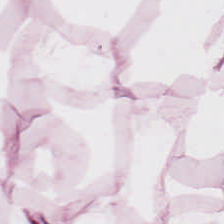H&E-stained tissue section · 224×224 px tile · FFPE. This patch shows adipose tissue.
